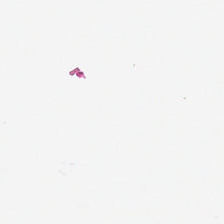H&E stain; whole-slide-image patch.
This patch shows no tissue.
